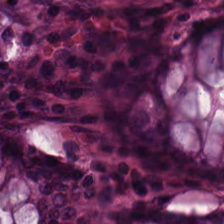20× equivalent magnification · 224×224 pixel tile · hematoxylin and eosin — Tissue class = benign colonic mucosa.
